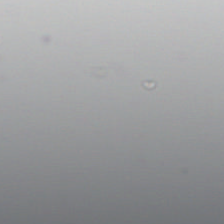Hematoxylin and eosin; 0.5 µm per pixel; 224×224 px tile — This patch shows background (no tissue).
